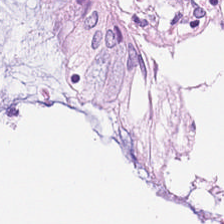Hematoxylin-and-eosin stained section — The predominant tissue is non-neoplastic colon mucosa.
